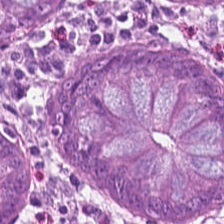H&E — benign colonic mucosa.
